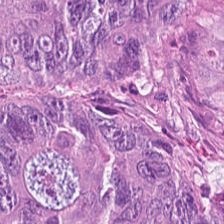H&E stain — Q: Identify the tissue.
A: Colorectal adenocarcinoma epithelium.
